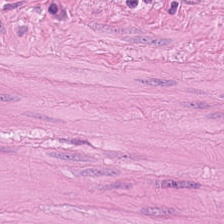Hematoxylin and eosin — The predominant tissue is smooth muscle.
